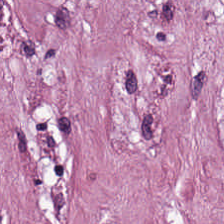H&E-stained section; the field shows cancer-associated stroma.
